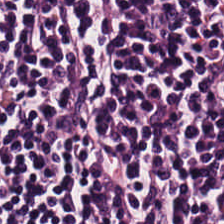The predominant tissue is lymphocyte aggregate.
